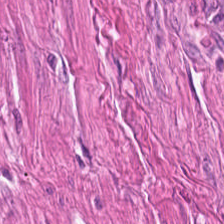H&E stain — The tissue type is smooth muscle.
